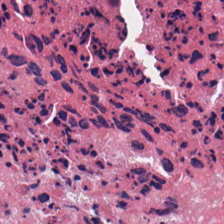H&E — necrotic debris.
